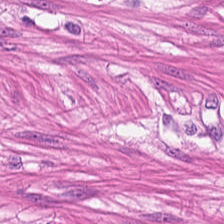0.5 microns per pixel · hematoxylin and eosin.
The tissue class is muscularis.
